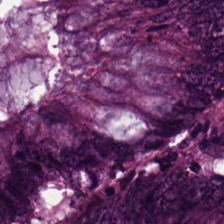Formalin-fixed paraffin-embedded section · hematoxylin-and-eosin stained section.
This patch shows tumor epithelium.
